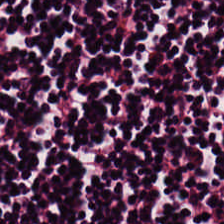WSI patch. H&E-stained tissue section. 224×224 px tile. Q: What is the predominant tissue type?
A: This is lymphocytic infiltrate.
